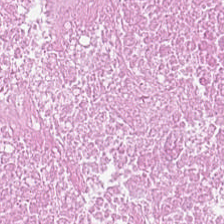{"tissue_type": "debris"}
